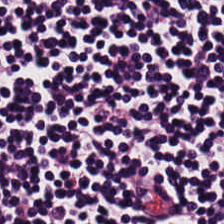Brightfield; H&E-stained tissue section. Predominantly lymphoid infiltrate.
